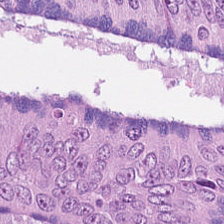Hematoxylin-and-eosin stained section — Q: What does this patch show?
A: The field shows colorectal adenocarcinoma epithelium.
